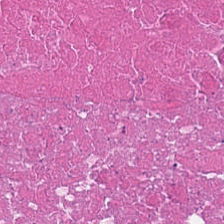This patch shows cellular debris.
